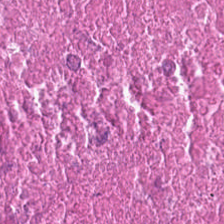H&E-stained tissue section; FFPE — This patch shows cellular debris.
